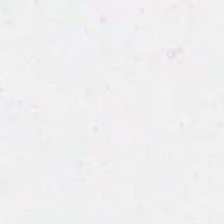224×224 pixel tile · H&E-stained tissue section. Background.
